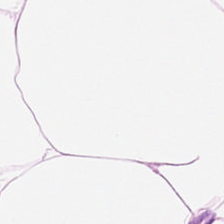224×224 px patch. H&E. Brightfield.
Adipose.
